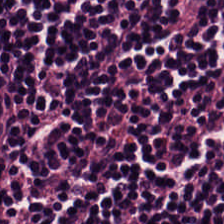FFPE · hematoxylin and eosin · 224×224 pixel tile.
Q: What tissue type is shown here?
A: The field shows lymphocyte aggregate.
